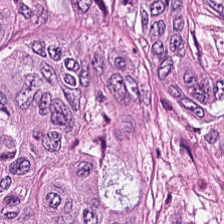Stain: H&E.
Resolution: 0.5 µm/px.
Tissue class: colorectal adenocarcinoma epithelium.
